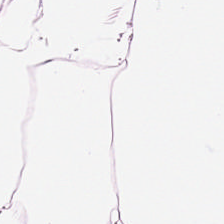Hematoxylin-and-eosin stained section.
Showing adipose tissue.
